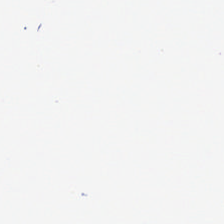Hematoxylin and eosin. Q: What does this patch show?
A: This is empty background.
